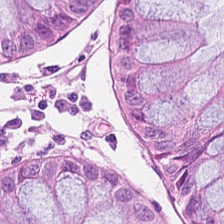Stain: hematoxylin-and-eosin stained section.
Classification: normal colon mucosa.
